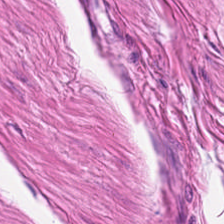H&E; whole-slide-image patch — Tissue class: smooth-muscle tissue.
